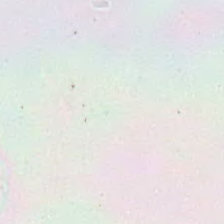0.5 microns per pixel. Whole-slide-image patch. Hematoxylin and eosin — No tissue present; background only.
